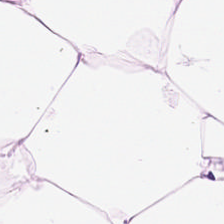Hematoxylin and eosin. 0.5 µm per pixel. This field is fat tissue.
